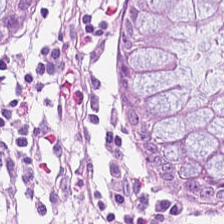0.5 microns per pixel · hematoxylin and eosin — Impression → normal colonic mucosa.
